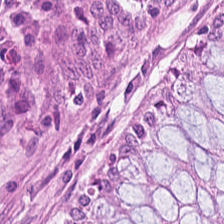The tissue here is benign colonic mucosa.
